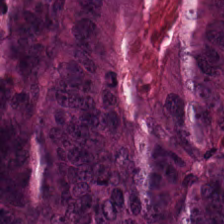Hematoxylin-and-eosin stained section. Q: What is the predominant tissue type?
A: Adenocarcinoma.
